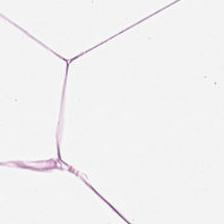Tissue — adipocytes.
